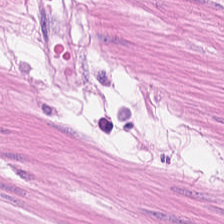224×224 px tile. 0.5 microns per pixel. H&E-stained tissue section. Impression → muscularis.
